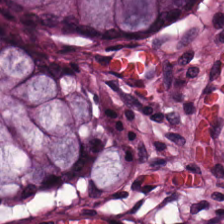H&E-stained tissue section. {"tissue_type": "normal colonic mucosa"}
